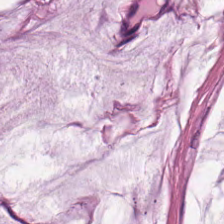H&E-stained tissue section. Finding → extracellular mucin.
